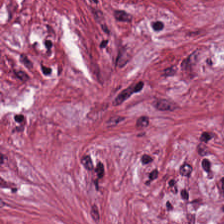{"tissue_type": "desmoplastic stroma"}
